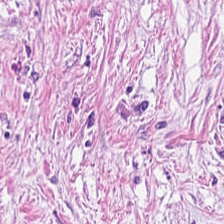Classification: cancer-associated stroma.
